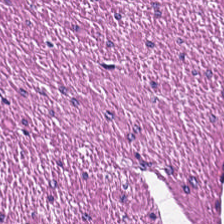Hematoxylin-and-eosin stained section — Tissue class = smooth-muscle tissue.
